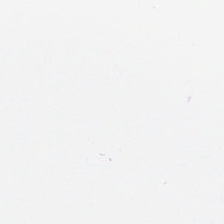H&E stain — Background — no tissue in this field.
